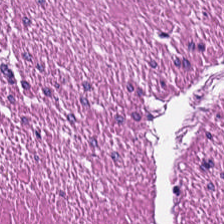Hematoxylin and eosin. Q: What does this patch show?
A: The field shows muscularis.
